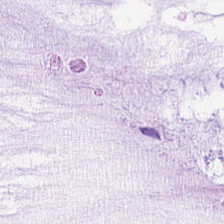Histology → extracellular mucin.
